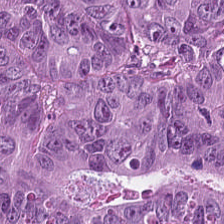{"tissue_type": "tumor epithelium"}
